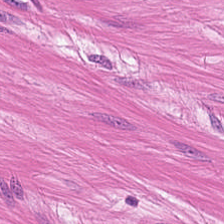H&E stain — Tissue — smooth-muscle tissue.
